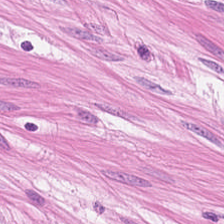H&E-stained tissue section.
Q: Identify the tissue.
A: It is muscularis.
